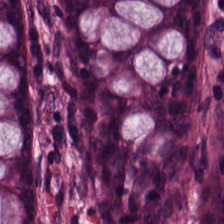H&E-stained tissue section showing normal colonic mucosa.
